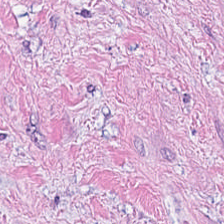Whole-slide-image patch · hematoxylin and eosin. Showing tumor-associated stroma.
